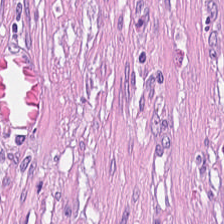Hematoxylin and eosin.
The tissue type is tumor stroma.
